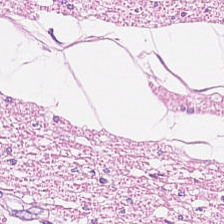Stain: hematoxylin and eosin.
Tile size: 224×224 px tile.
Preparation: formalin-fixed paraffin-embedded section.
Classification: smooth muscle.
